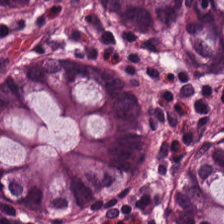Stain: hematoxylin and eosin.
Acquisition: whole-slide-image patch.
Classification: normal colonic mucosa.
